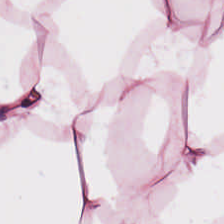Classification — adipose.
